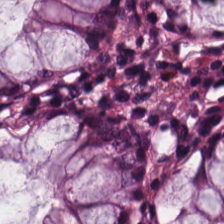Hematoxylin-and-eosin stained section.
Showing benign colonic mucosa.
